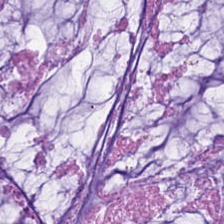224×224 pixel tile. H&E.
{"tissue_type": "mucus"}
